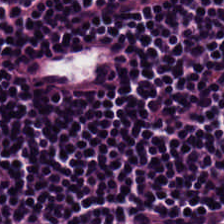Hematoxylin-and-eosin stained section — Histology → lymphocytic infiltrate.
